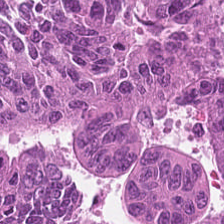H&E stain · 224×224 px patch · whole-slide-image patch — Impression — adenocarcinoma.
